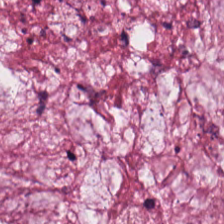20× equivalent magnification. 224×224 pixel tile. H&E-stained tissue section.
Q: What tissue type is shown here?
A: Mucus.
